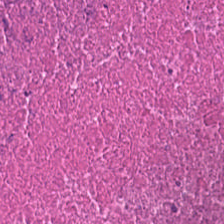224×224 px tile. H&E — Tissue = cellular debris.
